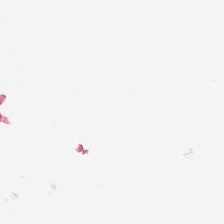Hematoxylin-and-eosin stained section. 224×224 px tile. Background — no tissue in this field.
